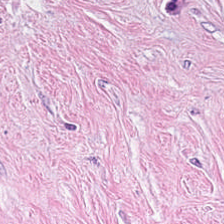Hematoxylin-and-eosin stained section. Tumor-associated stroma.
